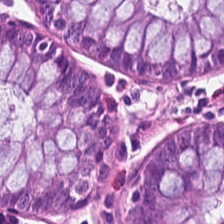H&E-stained tissue section showing non-neoplastic colon mucosa.
